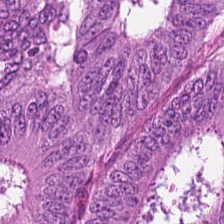Brightfield microscopy; hematoxylin-and-eosin stained section.
The classification is malignant epithelium.
